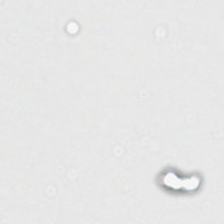H&E-stained tissue section — Field content = no tissue.
